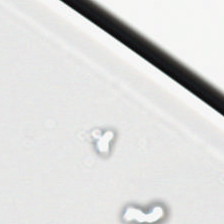The classification is background.
